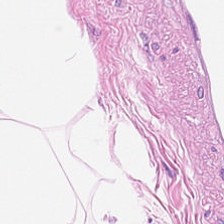Stain: H&E stain.
Tissue: fat tissue.
